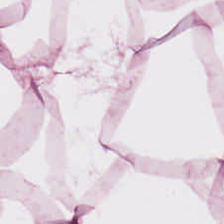Hematoxylin-and-eosin stained section — This field is fat tissue.
